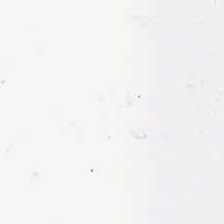H&E-stained tissue section — Content — background.
